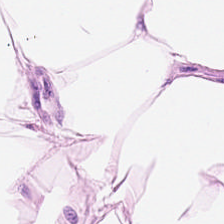H&E — Predominantly fat tissue.
